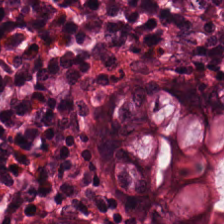H&E · 0.5 µm/px — Q: What is the predominant tissue type?
A: This is normal colon mucosa.
